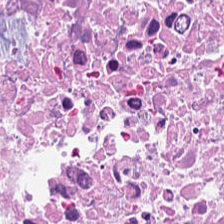The tissue here is cellular debris.
